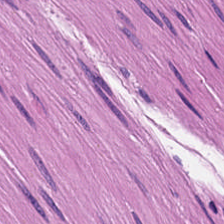H&E — muscularis.
